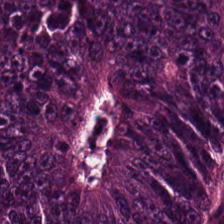20× equivalent magnification. Hematoxylin and eosin. FFPE tissue section — {"tissue_type": "colorectal adenocarcinoma"}
